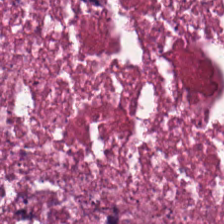H&E-stained tissue section. Cellular debris.
